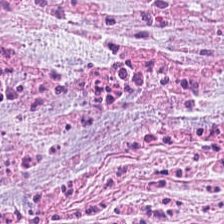224×224 pixel tile; H&E — Predominant tissue: tumor stroma.
